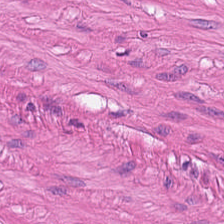Hematoxylin and eosin.
Histology → smooth muscle.
